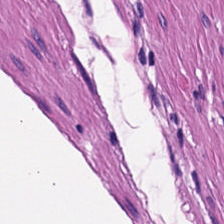20× equivalent magnification. H&E — Predominantly smooth muscle.
